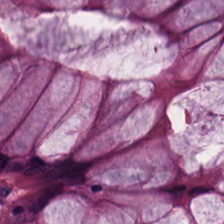FFPE tissue section. H&E-stained tissue section — Tissue class = normal colonic mucosa.
